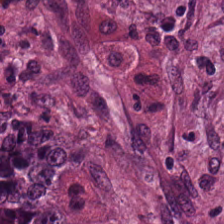H&E-stained tissue section. This field is desmoplastic stroma.
